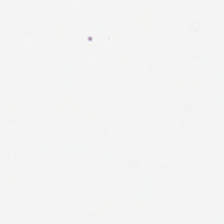Stain: H&E-stained tissue section.
Field content: background (no tissue).
